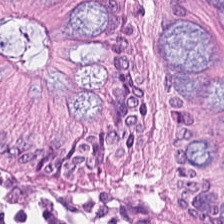0.5 µm/px. Hematoxylin-and-eosin stained section. Histology → non-neoplastic colon mucosa.
